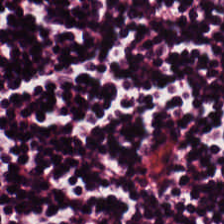Hematoxylin-and-eosin stained section.
Showing lymphocytes.
